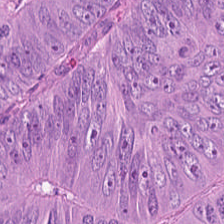0.5 microns per pixel · hematoxylin and eosin · FFPE tissue section. Adenocarcinoma.
